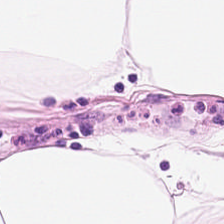Hematoxylin and eosin — Q: What is shown here?
A: The field shows adipose.
